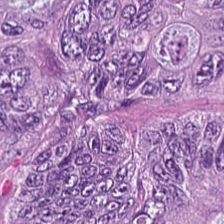Hematoxylin-and-eosin stained section. 224×224 pixel tile. 0.5 microns per pixel.
Showing colorectal adenocarcinoma.
